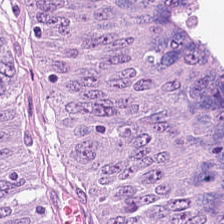H&E — colorectal adenocarcinoma epithelium.
